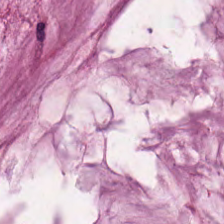H&E — Impression → mucin.
